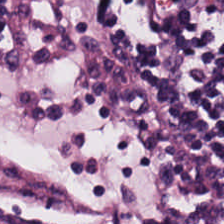FFPE tissue section. H&E-stained tissue section. 0.5 microns per pixel. Classification — lymphocyte aggregate.
